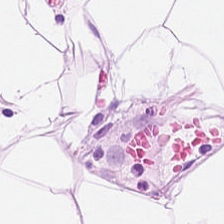H&E; formalin-fixed paraffin-embedded section. Q: What is shown here?
A: Adipose.
